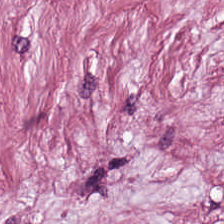Hematoxylin and eosin — This patch shows tumor-associated stroma.
